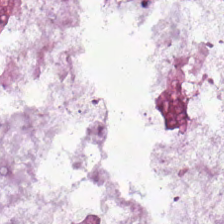Hematoxylin and eosin — The tissue is mucus.
